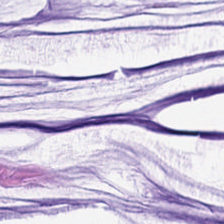H&E — Predominantly extracellular mucin.
